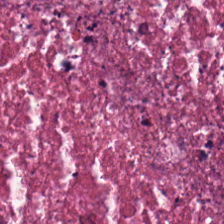FFPE tissue section. H&E-stained tissue section. 20× equivalent magnification.
Tissue — cellular debris.
